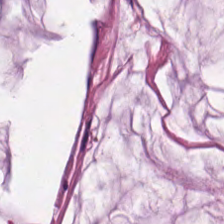H&E stain. Brightfield microscopy — Tissue type — mucus.
